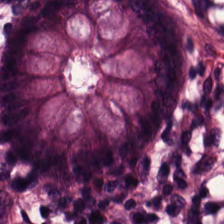H&E stain. Tissue type — benign colonic mucosa.
